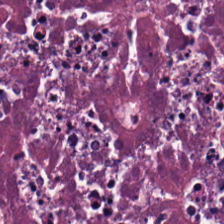H&E stain · 0.5 microns per pixel.
{"tissue_type": "debris"}
